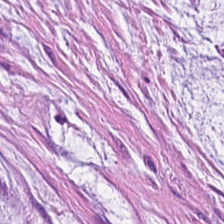H&E stain. Predominantly mucus.
